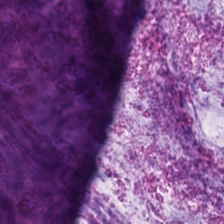WSI patch. 20× equivalent magnification. H&E stain.
The tissue here is mucus.
